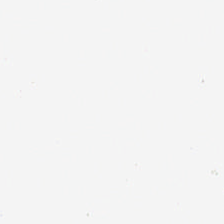H&E. Formalin-fixed paraffin-embedded section.
{"content": "no tissue"}
